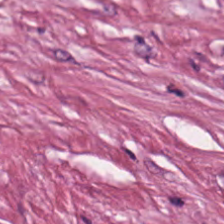Hematoxylin-and-eosin stained section.
Q: What tissue is shown?
A: It is cancer-associated stroma.
